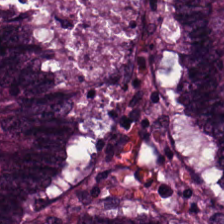0.5 µm per pixel · hematoxylin and eosin — Tissue type: tumor epithelium.
